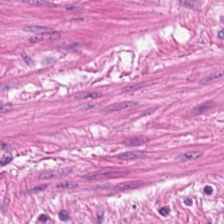FFPE tissue section · H&E-stained tissue section — Predominantly smooth-muscle tissue.
